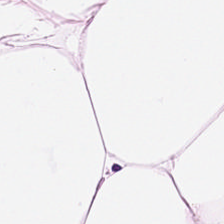0.5 µm per pixel. H&E stain. Tissue: fat tissue.
